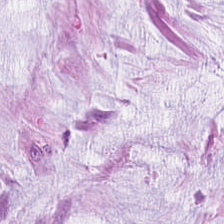Hematoxylin and eosin · 224×224 pixel tile. The tissue type is mucus.
